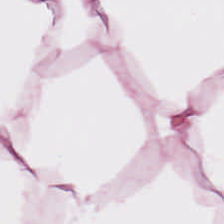H&E — fat tissue.
